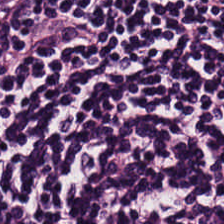Finding — lymphoid infiltrate.
